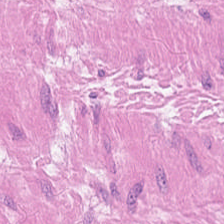H&E-stained tissue section. This patch shows smooth-muscle tissue.
